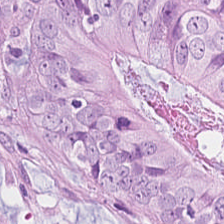0.5 µm per pixel · hematoxylin and eosin. The tissue here is colorectal adenocarcinoma.
